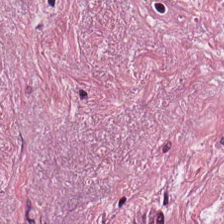Tissue: tumor-associated stroma.
